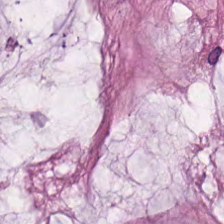H&E — Histology → mucus.
